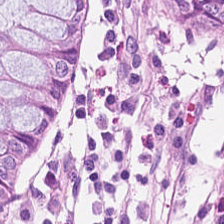H&E-stained tissue section. Predominantly non-neoplastic colon mucosa.
